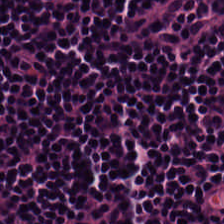Hematoxylin and eosin.
Lymphoid infiltrate.
